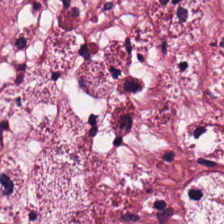Stain: H&E-stained tissue section.
Tile size: 224×224 px tile.
Tissue class: desmoplastic stroma.
